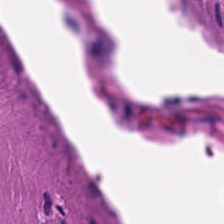H&E.
Smooth muscle.
